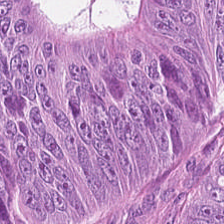H&E. Predominant tissue = adenocarcinoma.
